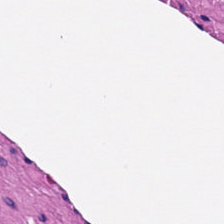224×224 px patch · H&E-stained tissue section · FFPE tissue section. Q: What is shown in this field?
A: The field shows smooth-muscle tissue.
